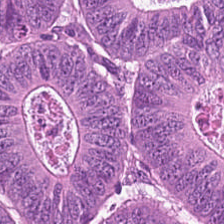{"tissue_type": "adenocarcinoma"}
